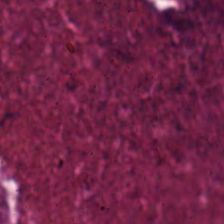Hematoxylin-and-eosin stained section; 224×224 px patch; WSI patch.
This patch shows necrotic debris.
